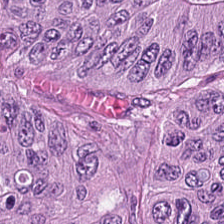Whole-slide-image patch; hematoxylin-and-eosin stained section.
Tissue type: malignant epithelium.
